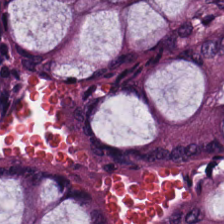H&E stain — Tissue — non-neoplastic colon mucosa.
